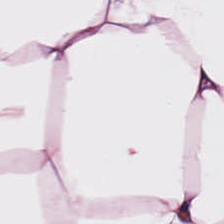Hematoxylin-and-eosin stained section · whole-slide-image patch. This patch shows adipose.
